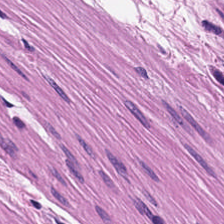H&E-stained tissue section; whole-slide-image patch; 20× equivalent magnification — Tissue type: smooth muscle.
